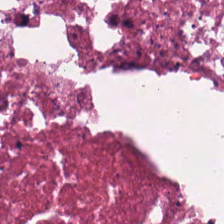Finding — debris.
